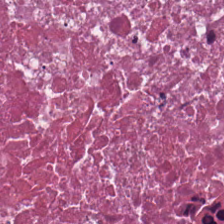H&E — Tissue class = cellular debris.
